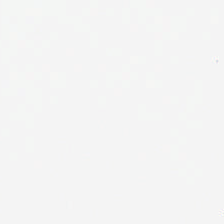0.5 microns per pixel; hematoxylin and eosin. Content = no tissue.
